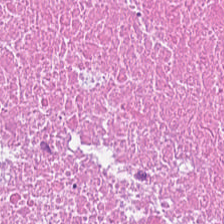Tissue class = cellular debris.
